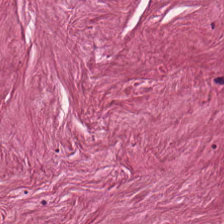Whole-slide-image patch · 0.5 µm per pixel · H&E. This field is tumor-associated stroma.
